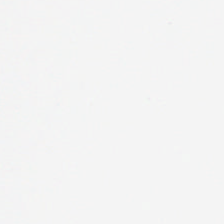224×224 pixel tile; H&E stain. This patch shows empty background.
